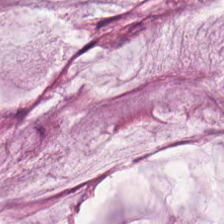Tissue type — mucus.
